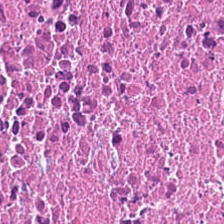FFPE tissue section. H&E. WSI patch — The predominant tissue is cellular debris.
